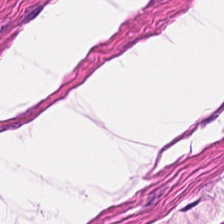Tissue class: smooth muscle.
